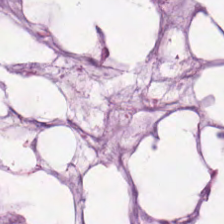Stain: H&E stain.
Tissue type: extracellular mucin.
